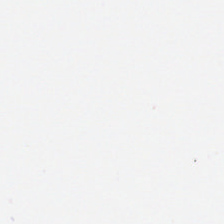The classification is no tissue.
